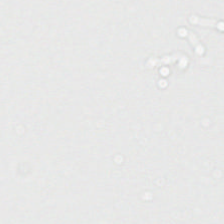Hematoxylin and eosin. FFPE. 0.5 µm/px.
Content: no tissue.
